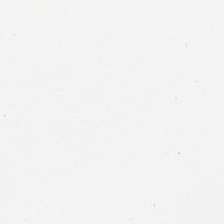H&E-stained tissue section · 224×224 px patch.
Q: What is shown in this field?
A: This is background.
